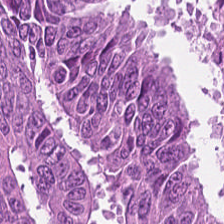Q: What tissue type is shown here?
A: Tumor epithelium.
